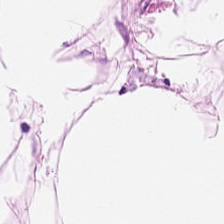Impression — adipocytes.
